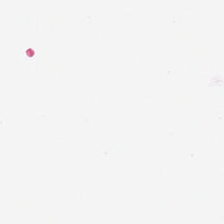No tissue present; background only.
